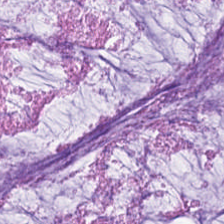H&E stain · 0.5 µm/px. Predominant tissue: mucin.
